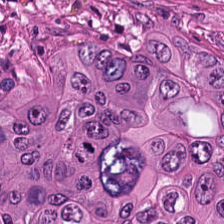Hematoxylin and eosin.
Histology → colorectal adenocarcinoma.
